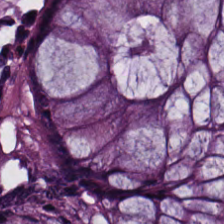H&E. 224×224 px patch. FFPE — Finding — normal colon mucosa.
